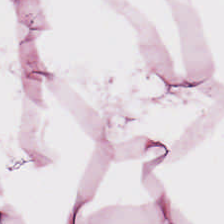Hematoxylin and eosin.
This field is adipocytes.
